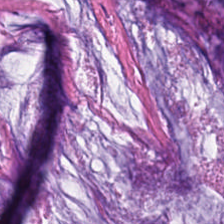Q: What tissue type is shown here?
A: The field shows extracellular mucin.
